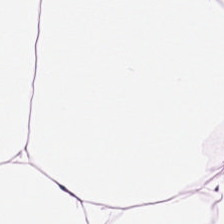H&E; brightfield microscopy. This field is adipose tissue.
